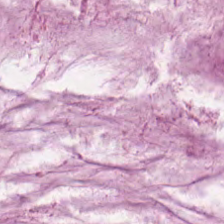FFPE tissue section · H&E-stained tissue section.
Finding → mucus.
